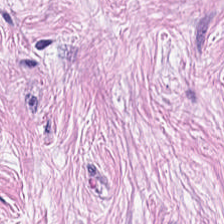Stain: hematoxylin and eosin.
Tissue class: cancer-associated stroma.
